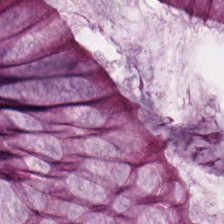H&E — Q: What is the predominant tissue type?
A: The field shows benign colonic mucosa.
